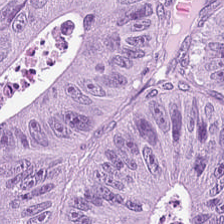Q: What tissue is shown?
A: The field shows colorectal adenocarcinoma.
